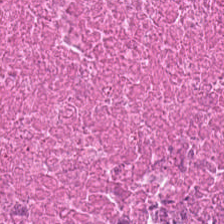Hematoxylin-and-eosin stained section.
Showing necrotic debris.
